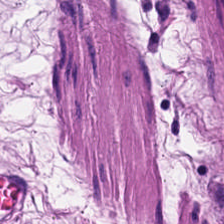0.5 µm/px. H&E.
Smooth-muscle tissue.
